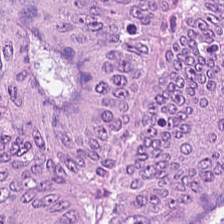H&E — Showing tumor epithelium.
